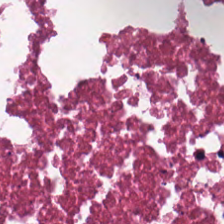224×224 px patch. Hematoxylin and eosin — Showing necrotic debris.
